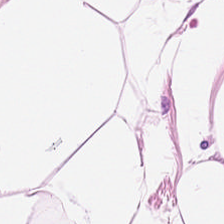Showing fat tissue.
